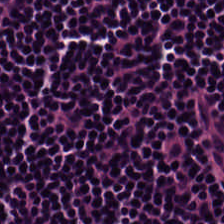H&E — lymphoid infiltrate.
